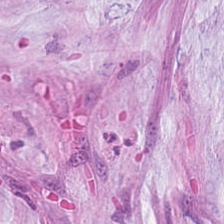Hematoxylin and eosin — Histology → mucin.
